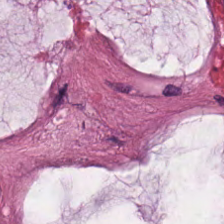Hematoxylin and eosin — This field is extracellular mucin.
